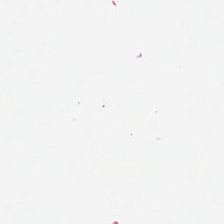Q: Classify this patch.
A: Background (no tissue).
